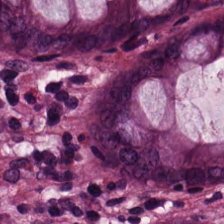Stain: H&E-stained tissue section.
Resolution: 0.5 µm/px.
Tissue class: non-neoplastic colon mucosa.
